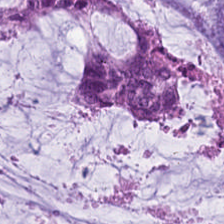H&E. Mucus.
